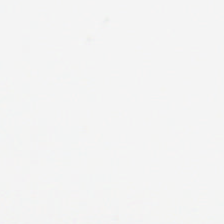Content = background.
